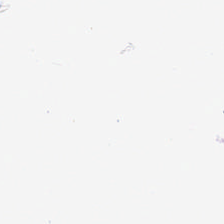Hematoxylin-and-eosin stained section.
This field is background (no tissue).
